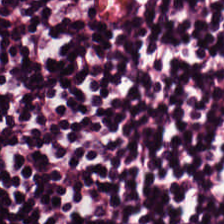H&E stain.
Tissue: lymphocytic infiltrate.
